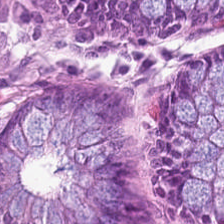20× equivalent magnification. H&E stain. Formalin-fixed paraffin-embedded section — Q: Identify the tissue.
A: It is normal colon mucosa.
